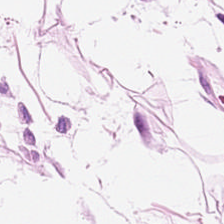H&E stain — Showing fat tissue.
